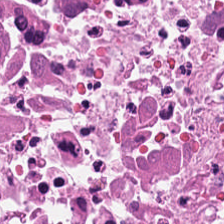H&E — necrotic debris.
